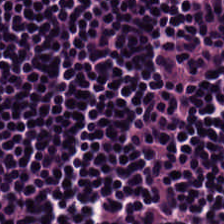Stain: H&E stain.
Predominant tissue: lymphoid infiltrate.
